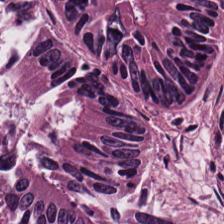224×224 pixel tile; hematoxylin and eosin. Predominant tissue = colorectal adenocarcinoma.
